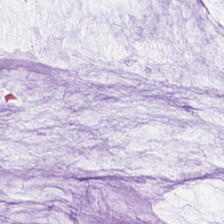H&E. Whole-slide-image patch.
This patch shows extracellular mucin.
